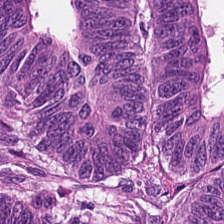H&E. The tissue type is tumor epithelium.
